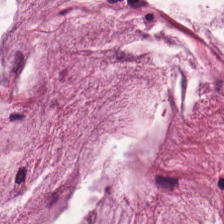H&E. Finding → extracellular mucin.
